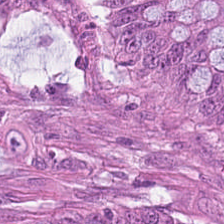H&E-stained tissue section. 224×224 px tile. Brightfield microscopy.
Q: What is shown here?
A: This is tumor epithelium.
